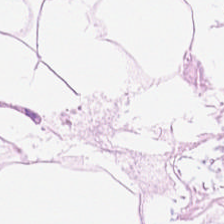H&E stain. Q: What does this patch show?
A: This is adipose tissue.
